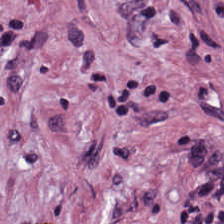Hematoxylin-and-eosin stained section. Histology → tumor-associated stroma.
